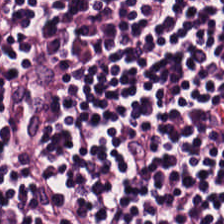H&E-stained tissue section. 0.5 microns per pixel.
Histology — lymphoid infiltrate.
